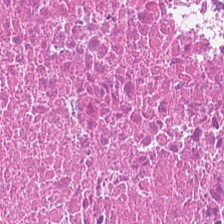H&E — Tissue class = necrotic debris.
